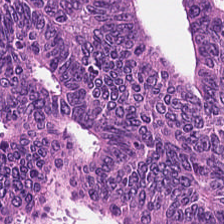H&E — malignant epithelium.
